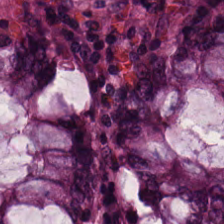224×224 px patch · H&E stain. Predominantly normal colon mucosa.
